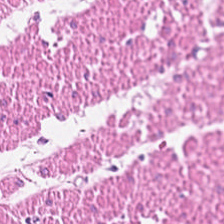H&E.
Tissue type — muscularis.
